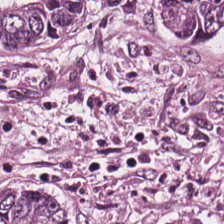Stain: hematoxylin and eosin.
Tissue: colorectal adenocarcinoma.
